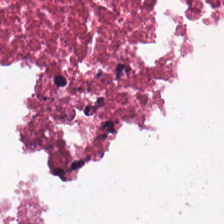H&E stain. Tissue type = debris.
